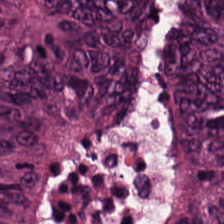H&E-stained tissue section · formalin-fixed paraffin-embedded section — Q: What tissue is shown?
A: It is colorectal adenocarcinoma epithelium.
